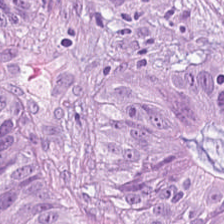Hematoxylin-and-eosin stained section — Predominant tissue — malignant epithelium.
